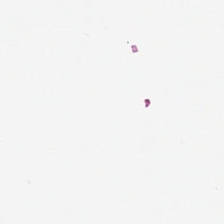The classification is background.
